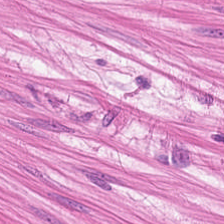H&E. This patch shows muscularis.
